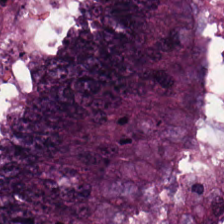H&E — Tissue = tumor epithelium.
